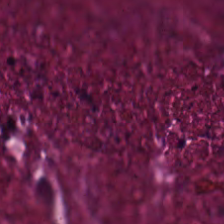Q: Identify the tissue.
A: The field shows necrotic debris.
